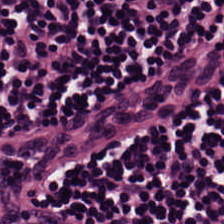H&E.
Predominantly lymphocyte aggregate.
